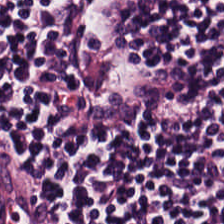Brightfield. FFPE. Hematoxylin and eosin. This patch shows lymphocytic infiltrate.
